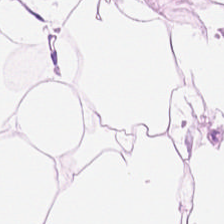H&E — fat tissue.
